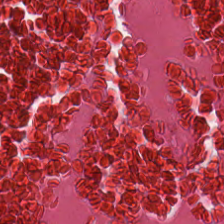H&E. Brightfield microscopy. Classification = debris.
